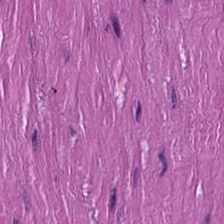Hematoxylin-and-eosin stained section; 224×224 px tile.
Tissue type — smooth-muscle tissue.
